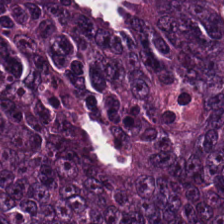Hematoxylin-and-eosin stained section. Q: What type of tissue is this?
A: Colorectal adenocarcinoma epithelium.
